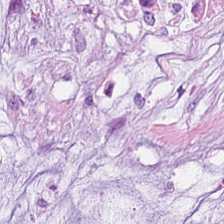Hematoxylin and eosin — Mucus.
